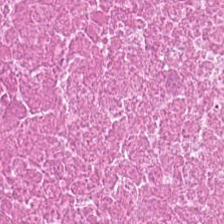WSI patch; H&E stain. The tissue class is debris.
